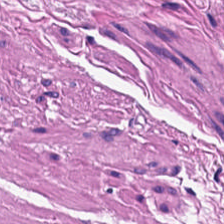WSI patch · H&E stain. Showing muscularis.
